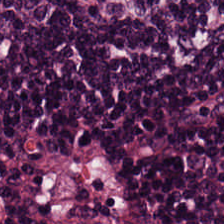Stain: H&E stain.
Tile size: 224×224 px tile.
Acquisition: brightfield microscopy.
Tissue type: lymphocytic infiltrate.
